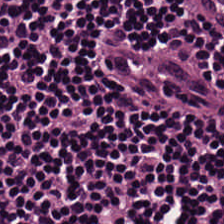Q: What is shown in this field?
A: It is lymphocytes.
